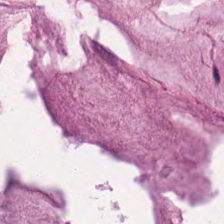Brightfield microscopy; H&E-stained tissue section — The tissue class is mucin.
